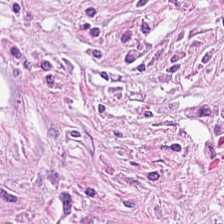H&E.
This field is desmoplastic stroma.
